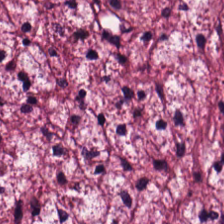Stain: H&E.
Tissue type: tumor-associated stroma.
